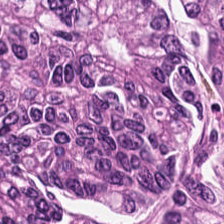The tissue is colorectal adenocarcinoma epithelium.
